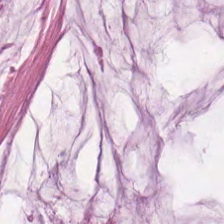Stain: H&E stain.
Acquisition: brightfield microscopy.
Tissue type: extracellular mucin.
